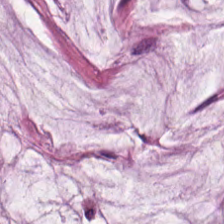Mucus.
